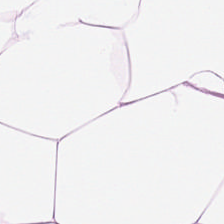H&E-stained tissue section.
Classification = adipose tissue.
